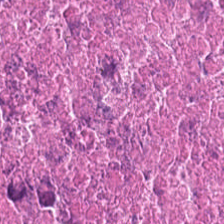Hematoxylin-and-eosin stained section — The tissue type is necrotic debris.
